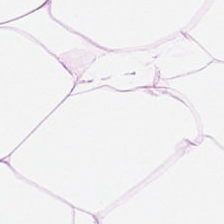224×224 px tile. 0.5 µm/px. Hematoxylin and eosin. This field is adipocytes.
